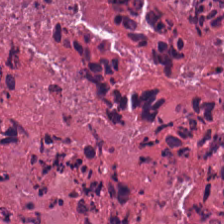20× equivalent magnification. H&E. Impression — necrotic debris.
